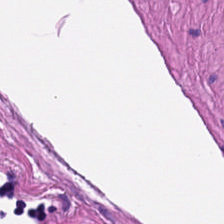Tissue class = muscularis.
